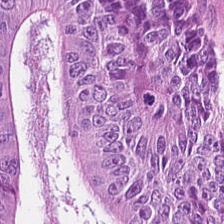Hematoxylin-and-eosin stained section — This field is malignant epithelium.
